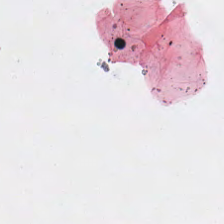FFPE. H&E stain.
Background — no tissue in this field.
